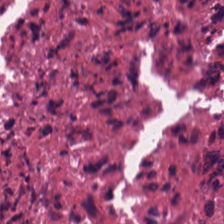Hematoxylin-and-eosin stained section · 224×224 px patch. Classification — debris.
